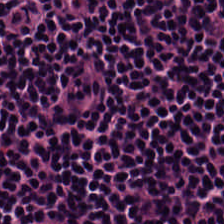Hematoxylin-and-eosin stained section — Lymphocytic infiltrate.
